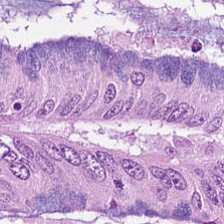Stain: H&E-stained tissue section.
Tissue type: malignant epithelium.
